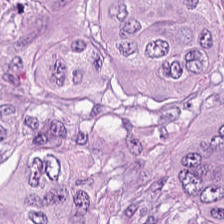H&E-stained tissue section — Histology → malignant epithelium.
